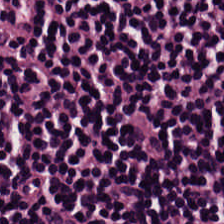Formalin-fixed paraffin-embedded section. Hematoxylin-and-eosin stained section. Q: What does this patch show?
A: This is lymphocytes.
